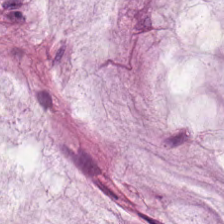H&E stain. Brightfield microscopy.
{"tissue_type": "mucin"}
